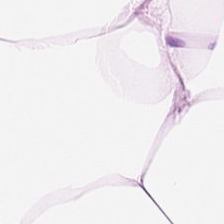Hematoxylin and eosin; 20× equivalent magnification. Predominantly adipose tissue.
